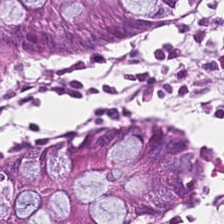Impression → benign colonic mucosa.
